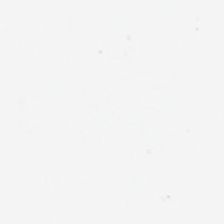224×224 pixel tile; hematoxylin and eosin. This patch shows empty background.
